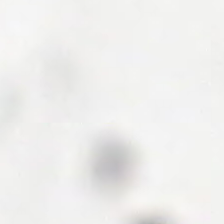H&E-stained tissue section · whole-slide-image patch. Classification = no tissue.
